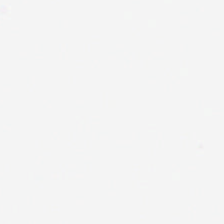Hematoxylin and eosin. Classification — no tissue.
